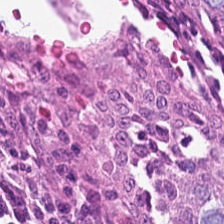Hematoxylin and eosin. This field is normal colon mucosa.
